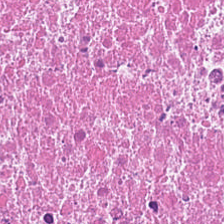Stain: H&E.
Tissue: necrotic debris.
